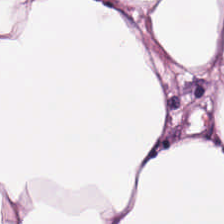Hematoxylin and eosin · FFPE — {"tissue_type": "adipocytes"}
